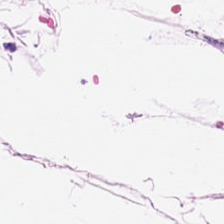H&E.
Tissue — adipose.
